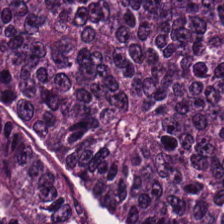Formalin-fixed paraffin-embedded section; hematoxylin and eosin. Impression — malignant epithelium.
